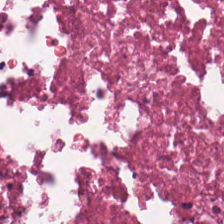H&E.
Predominantly debris.
